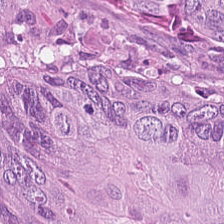The tissue is colorectal adenocarcinoma epithelium.
